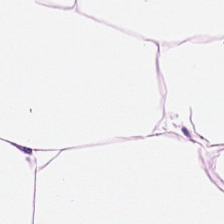Q: What tissue type is shown here?
A: This is adipose.
